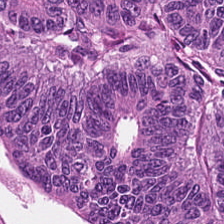Hematoxylin and eosin — Q: What type of tissue is this?
A: It is tumor epithelium.
